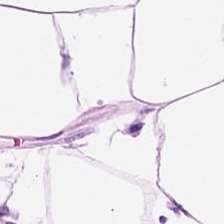Q: What is the predominant tissue type?
A: The field shows adipose.
